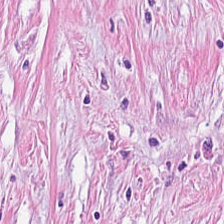Hematoxylin and eosin — Predominantly cancer-associated stroma.
